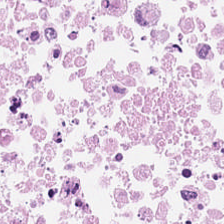H&E — Tissue type — debris.
